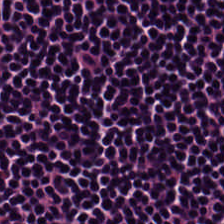Stain: H&E stain.
Tissue class: lymphoid infiltrate.
